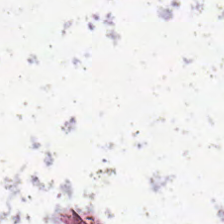H&E stain. Classification: no tissue.
